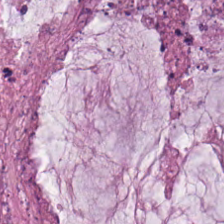H&E · brightfield microscopy — The tissue class is mucus.
